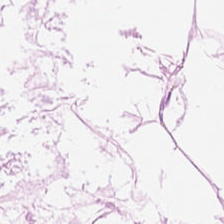Tissue class — fat tissue.
